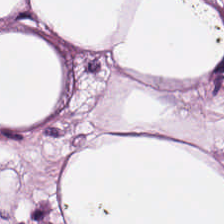H&E-stained tissue section; WSI patch — Q: What does this patch show?
A: It is adipose.
